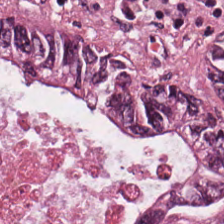Stain: H&E stain.
Tile size: 224×224 px patch.
Classification: adenocarcinoma.
